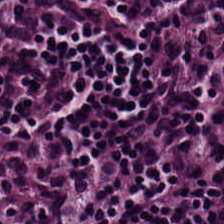The classification is lymphoid infiltrate.
